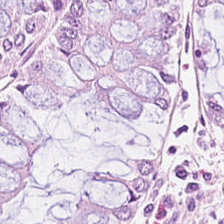H&E stain.
The predominant tissue is non-neoplastic colon mucosa.
